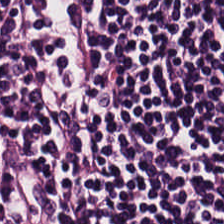Hematoxylin-and-eosin stained section. Histology → lymphoid infiltrate.
